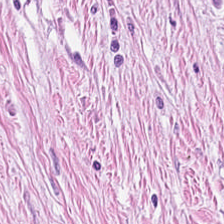224×224 px tile · 0.5 µm/px · hematoxylin-and-eosin stained section — {"tissue_type": "desmoplastic stroma"}
